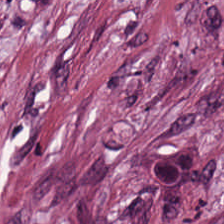0.5 µm per pixel · formalin-fixed paraffin-embedded section · hematoxylin and eosin. Impression → cancer-associated stroma.
